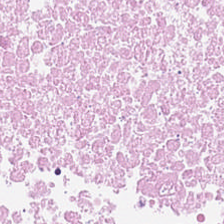Formalin-fixed paraffin-embedded section · 0.5 microns per pixel · hematoxylin and eosin.
Histology — cellular debris.
